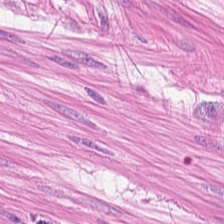Hematoxylin and eosin.
The tissue here is muscularis.
